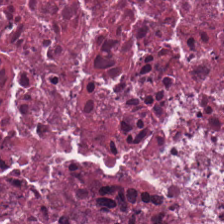Hematoxylin-and-eosin stained section. Tissue class: necrotic debris.
